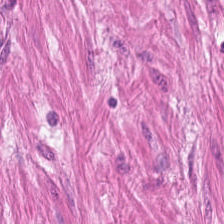Tissue type = muscularis.
